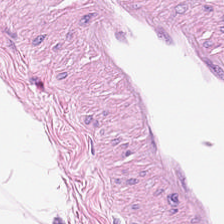H&E patch showing adipocytes.
